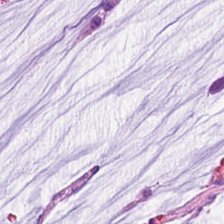20× equivalent magnification · hematoxylin-and-eosin stained section. This patch shows extracellular mucin.
